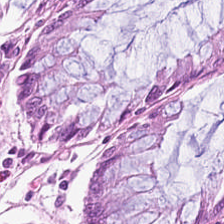H&E stain — Q: What is the predominant tissue type?
A: The field shows benign colonic mucosa.
